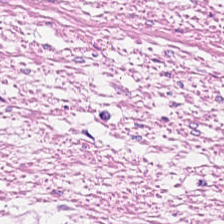224×224 pixel tile · H&E.
This field is smooth muscle.
